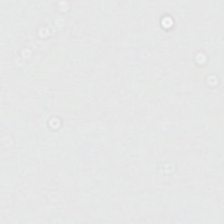H&E-stained tissue section — Classification = empty background.
